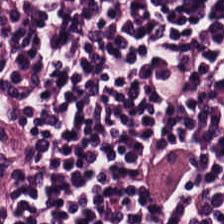FFPE · H&E.
Tissue: lymphocyte aggregate.
